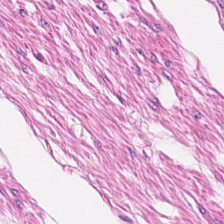Hematoxylin-and-eosin stained section — Q: What is shown in this field?
A: The field shows smooth muscle.
